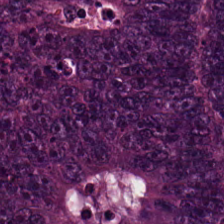The classification is adenocarcinoma.
